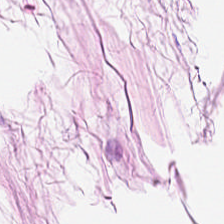Tissue type = adipocytes.
